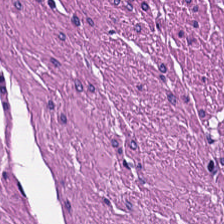This field is muscularis.
